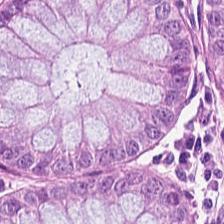Hematoxylin and eosin; FFPE tissue section; brightfield microscopy — Impression → non-neoplastic colon mucosa.
